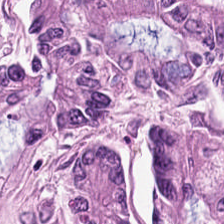0.5 µm per pixel · hematoxylin-and-eosin stained section · WSI patch. The predominant tissue is colorectal adenocarcinoma.
